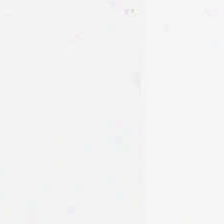H&E-stained tissue section; formalin-fixed paraffin-embedded section; 224×224 pixel tile.
Classification: empty background.
